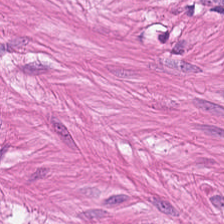H&E. 224×224 pixel tile. Muscularis.
